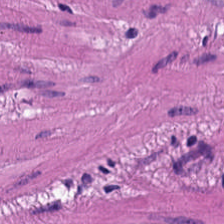H&E-stained tissue section showing muscularis.
